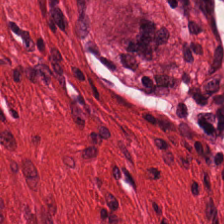The classification is muscularis.
